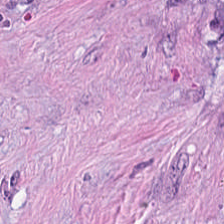Brightfield microscopy; hematoxylin and eosin; 0.5 µm/px — The classification is tumor-associated stroma.
